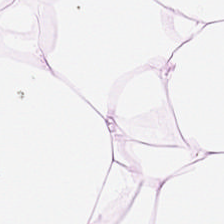224×224 pixel tile · hematoxylin and eosin. Classification — adipocytes.
